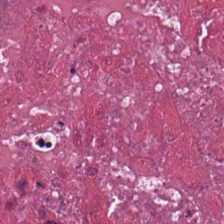Hematoxylin-and-eosin stained section — Tissue = debris.
